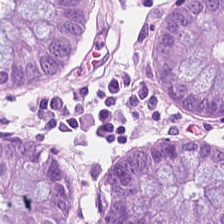Histology → normal colonic mucosa.
